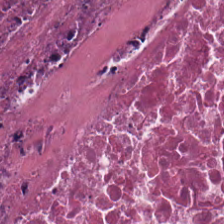20× equivalent magnification; hematoxylin-and-eosin stained section — Tissue type: debris.
